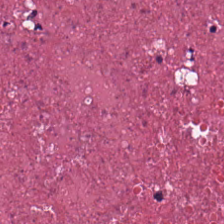Stain: hematoxylin and eosin.
Predominant tissue: cellular debris.
